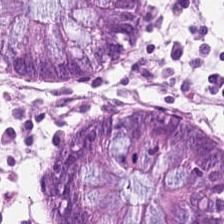H&E patch showing normal colonic mucosa.
